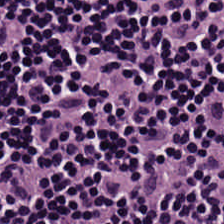Hematoxylin and eosin; brightfield; 224×224 pixel tile.
Q: Identify the tissue.
A: Lymphocytes.
